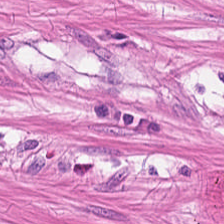H&E-stained tissue section — The predominant tissue is smooth muscle.
